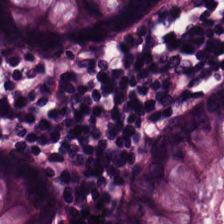H&E stain; 0.5 µm per pixel. Normal colonic mucosa.
